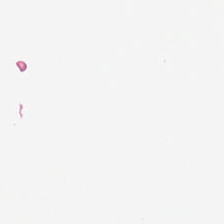Hematoxylin and eosin; 224×224 px tile; 20× equivalent magnification.
No tissue present; background only.
